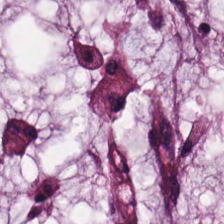Q: What tissue is shown?
A: This is mucus.
